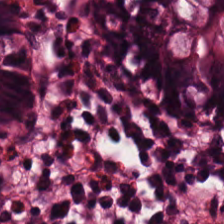Stain: H&E stain.
Tissue class: non-neoplastic colon mucosa.
